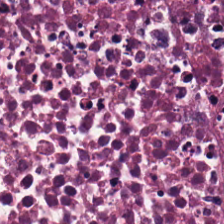H&E.
Finding — necrotic debris.
